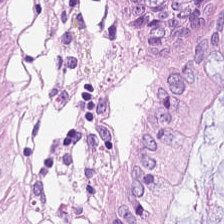H&E — Q: What is shown in this field?
A: Normal colon mucosa.
